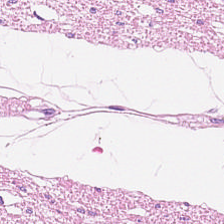Hematoxylin and eosin · 224×224 pixel tile — Tissue class: muscularis.
